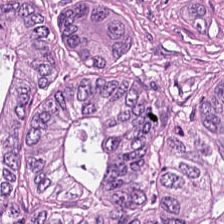224×224 px patch. H&E-stained tissue section. FFPE tissue section — Tissue class: adenocarcinoma.
